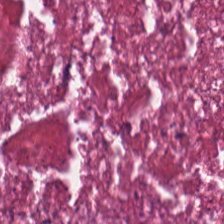224×224 px patch. H&E.
Necrotic debris.
